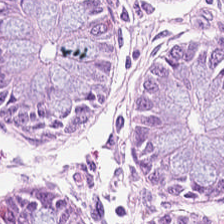Q: What tissue type is shown here?
A: This is normal colonic mucosa.
